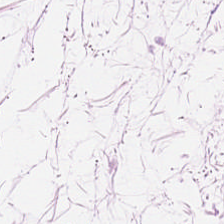H&E stain.
Predominantly fat tissue.
